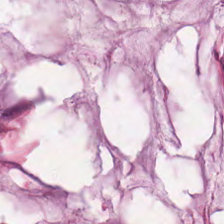H&E-stained tissue section · 0.5 microns per pixel. This field is extracellular mucin.
